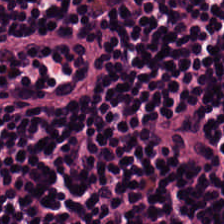Predominant tissue — lymphoid infiltrate.
